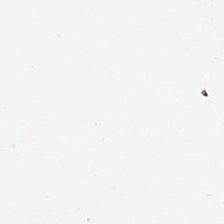Hematoxylin and eosin.
Background — no tissue in this field.
